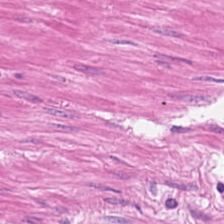224×224 px tile · hematoxylin-and-eosin stained section. Tissue class — smooth-muscle tissue.
